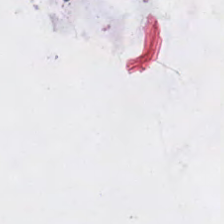Classification — empty background.
